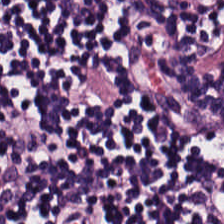Impression → lymphocytic infiltrate.
